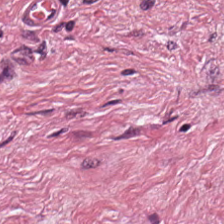FFPE; hematoxylin-and-eosin stained section; 224×224 px tile.
Impression — cancer-associated stroma.
